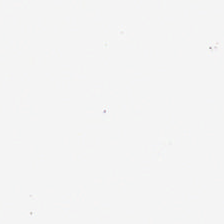H&E-stained tissue section; 20× equivalent magnification — Q: Classify this patch.
A: It is background.
